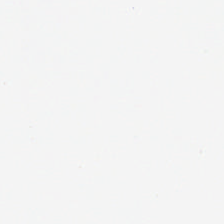H&E stain.
Field content: empty background.
